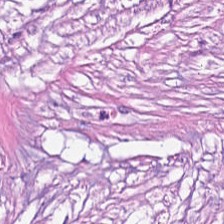0.5 µm per pixel; H&E stain. Predominantly tumor-associated stroma.
